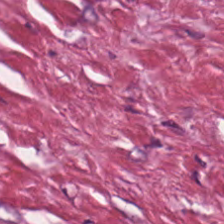H&E-stained tissue section.
Tissue class = tumor stroma.
